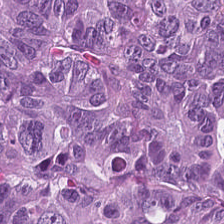H&E-stained tissue section · whole-slide-image patch. This patch shows colorectal adenocarcinoma epithelium.
